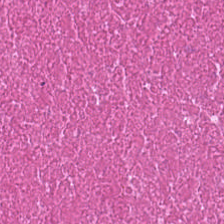H&E stain.
Q: Classify this patch.
A: It is debris.
